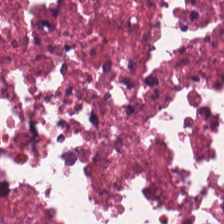Q: What type of tissue is this?
A: It is cellular debris.
